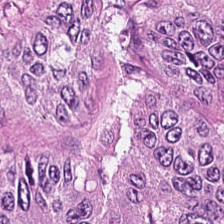H&E stain.
The tissue here is adenocarcinoma.
